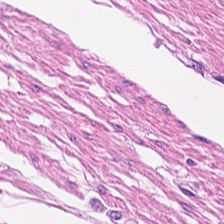Hematoxylin and eosin — Q: Classify this patch.
A: It is smooth-muscle tissue.
